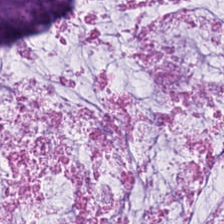H&E-stained tissue section. The tissue here is mucus.
